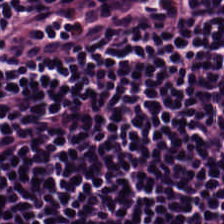H&E stain. Lymphocyte aggregate.
